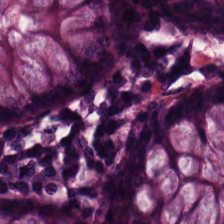H&E. Brightfield microscopy — The tissue here is normal colonic mucosa.
